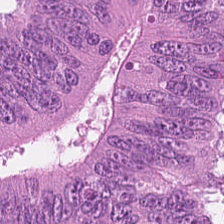224×224 px patch · hematoxylin-and-eosin stained section — The predominant tissue is tumor epithelium.
